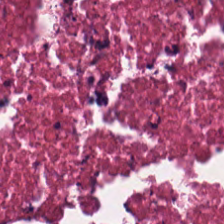Hematoxylin and eosin. 224×224 px patch. Brightfield microscopy.
Cellular debris.
